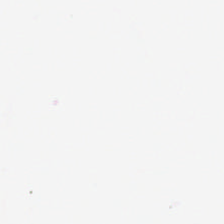Stain: H&E stain.
Field content: background (no tissue).
